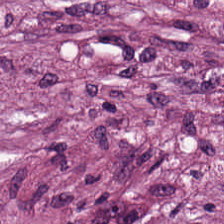Stain: H&E stain.
Tissue: desmoplastic stroma.
